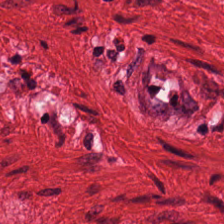Stain: H&E.
Tile size: 224×224 px tile.
Tissue type: smooth-muscle tissue.
